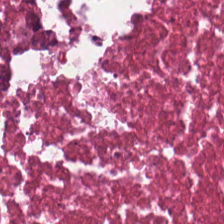Stain: H&E stain.
Tissue type: cellular debris.
